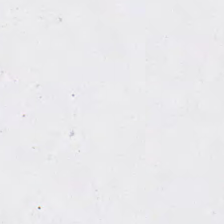Stain: H&E stain.
Field content: empty background.
